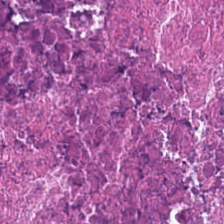20× equivalent magnification. H&E — Q: What type of tissue is this?
A: Cellular debris.
